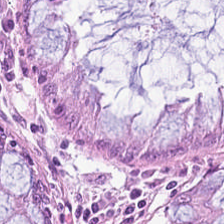Predominant tissue = normal colon mucosa.
